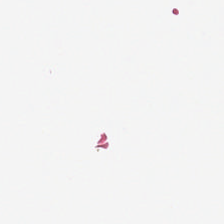20× equivalent magnification; hematoxylin-and-eosin stained section. {"content": "background (no tissue)"}
